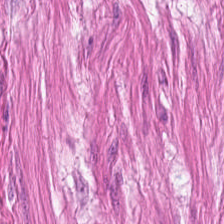This patch shows smooth-muscle tissue.
